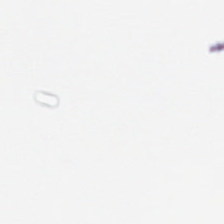{"content": "no tissue"}
